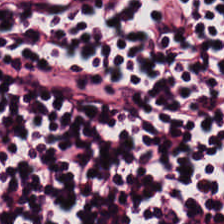Hematoxylin-and-eosin stained section; WSI patch — This patch shows lymphocytic infiltrate.
